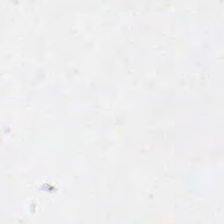FFPE tissue section; hematoxylin-and-eosin stained section — Histology → background.
